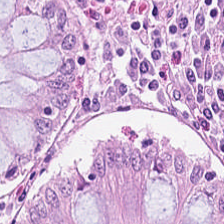Stain: hematoxylin-and-eosin stained section.
Tissue class: normal colon mucosa.
